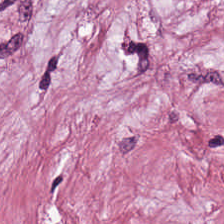Q: What tissue type is shown here?
A: This is cancer-associated stroma.
